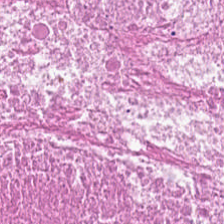Histology — cellular debris.
